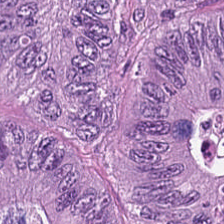Hematoxylin-and-eosin section: tumor epithelium.
